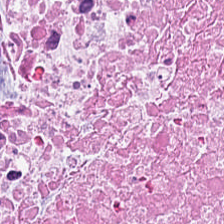224×224 px patch. Hematoxylin and eosin. Whole-slide-image patch.
The predominant tissue is cellular debris.
